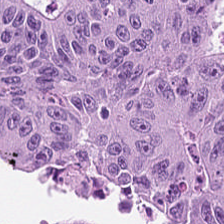Brightfield · H&E-stained tissue section · 224×224 px patch. Predominantly colorectal adenocarcinoma.
